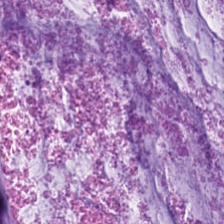224×224 px patch · hematoxylin-and-eosin stained section.
Predominant tissue — mucin.
